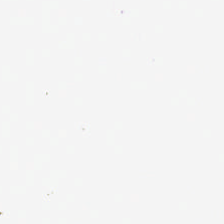{"content": "empty background"}
